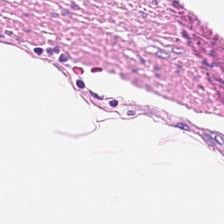The classification is muscularis.
